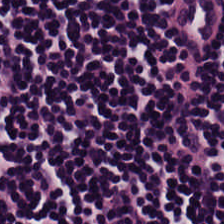Classification = lymphocytes.
